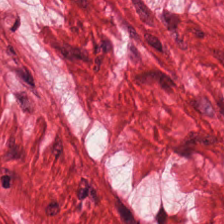H&E-stained tissue section.
Q: What is shown in this field?
A: Smooth muscle.
